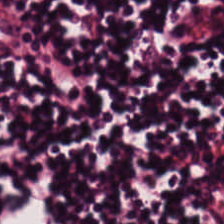H&E-stained tissue section; formalin-fixed paraffin-embedded section. Predominantly lymphocyte aggregate.
